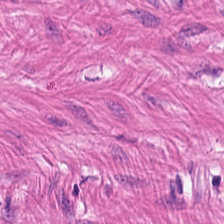H&E.
Impression — smooth-muscle tissue.
